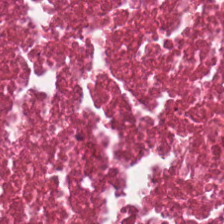The classification is cellular debris.
